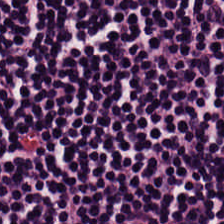H&E-stained tissue section — Predominantly lymphoid infiltrate.
